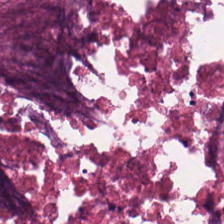H&E-stained tissue section.
This patch shows debris.
